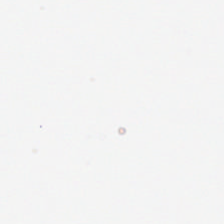Background.
